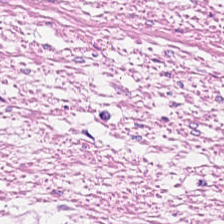FFPE tissue section; 224×224 pixel tile; hematoxylin and eosin — This patch shows smooth-muscle tissue.
